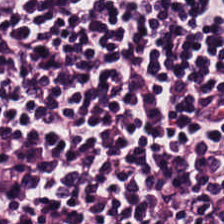Hematoxylin-and-eosin stained section. Brightfield microscopy. 224×224 px patch. The predominant tissue is lymphocytes.
